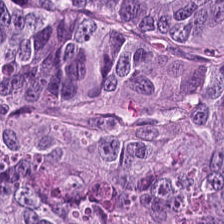Q: What is the predominant tissue type?
A: Adenocarcinoma.
